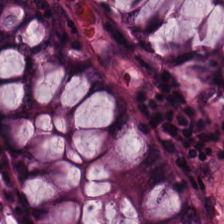H&E · 224×224 px patch · FFPE tissue section.
Tissue class — normal colonic mucosa.
